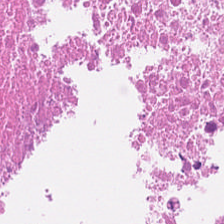0.5 µm per pixel. Hematoxylin and eosin. Predominantly debris.
